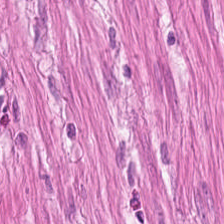{"tissue_type": "smooth-muscle tissue"}
